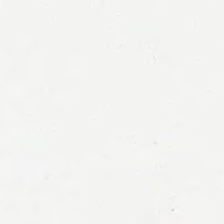H&E. 0.5 microns per pixel. Classification: background (no tissue).
